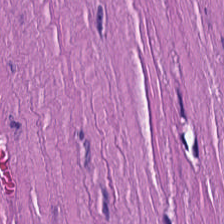Formalin-fixed paraffin-embedded section; H&E stain. Tissue type — muscularis.
